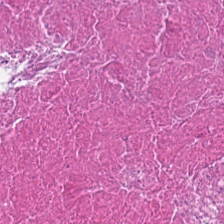Hematoxylin and eosin. Tissue type: debris.
